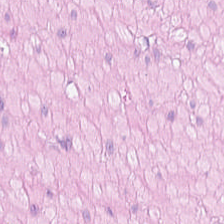FFPE tissue section · hematoxylin-and-eosin stained section.
Finding — smooth muscle.
